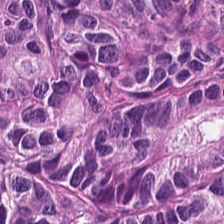Hematoxylin-and-eosin stained section. Predominantly adenocarcinoma.
